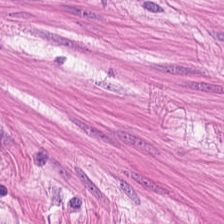Hematoxylin and eosin. Predominant tissue = muscularis.
